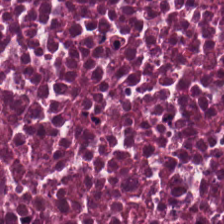{"tissue_type": "debris"}
